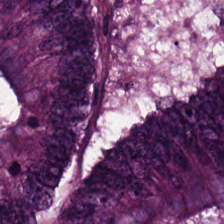Stain: hematoxylin and eosin.
Tissue: colorectal adenocarcinoma epithelium.
